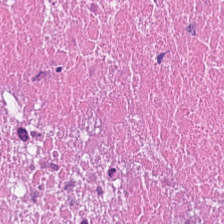H&E stain; FFPE tissue section.
Impression — necrotic debris.
